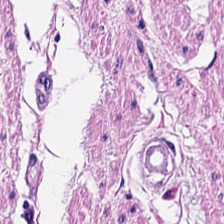H&E-stained tissue section. The tissue type is smooth-muscle tissue.
